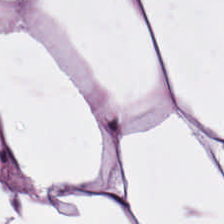Hematoxylin-and-eosin stained section · 224×224 pixel tile — This patch shows fat tissue.
